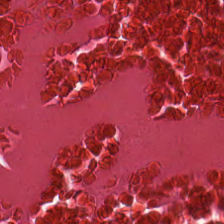Debris.
